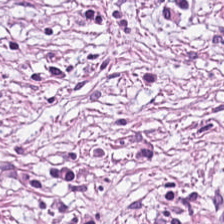Impression → desmoplastic stroma.
